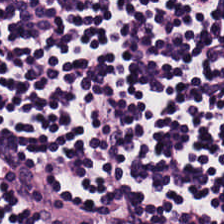H&E stain.
Tissue — lymphocyte aggregate.
